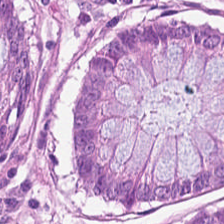Stain: hematoxylin-and-eosin stained section.
Tissue: normal colon mucosa.
